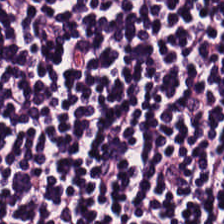The tissue here is lymphocytic infiltrate.
